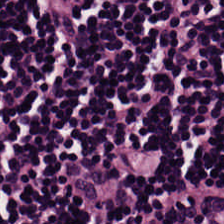Impression — lymphocytes.
